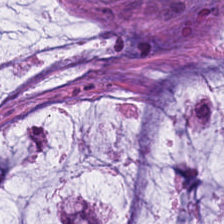H&E-stained tissue section. FFPE.
The tissue type is mucus.
